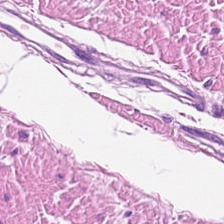Hematoxylin and eosin.
Histology → smooth muscle.
